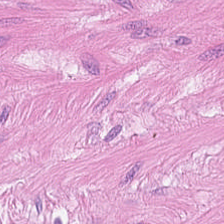Hematoxylin-and-eosin stained section · brightfield microscopy. Finding — smooth-muscle tissue.
